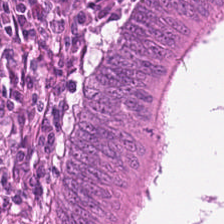Classification = tumor epithelium.
